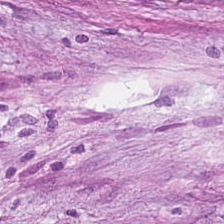Hematoxylin-and-eosin stained section; 224×224 px patch. {"tissue_type": "cancer-associated stroma"}
